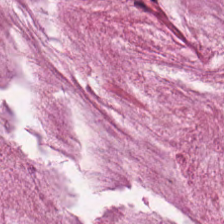H&E-stained tissue section — Showing mucin.
